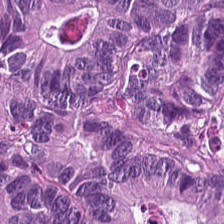Tumor epithelium.
